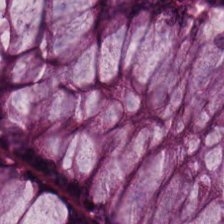0.5 µm per pixel. Hematoxylin-and-eosin stained section. Q: What is shown here?
A: This is normal colonic mucosa.
